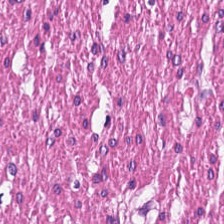H&E. Showing muscularis.
